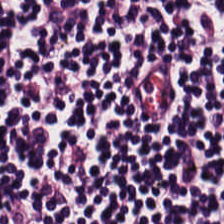Hematoxylin and eosin.
Lymphoid infiltrate.
